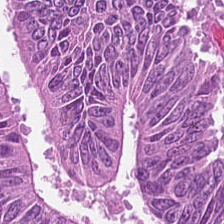Hematoxylin and eosin; 224×224 px tile.
Tissue = tumor epithelium.
